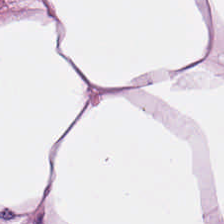Formalin-fixed paraffin-embedded section. H&E.
Q: What tissue type is shown here?
A: Adipose tissue.
